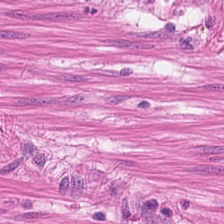Hematoxylin-and-eosin stained section · 20× equivalent magnification · FFPE tissue section.
Q: What does this patch show?
A: This is smooth muscle.
